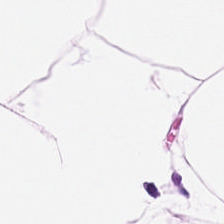Hematoxylin and eosin. Showing fat tissue.
